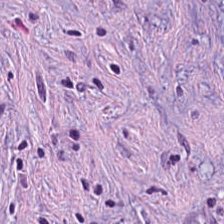20× equivalent magnification · hematoxylin and eosin.
Classification — cancer-associated stroma.
